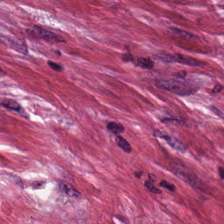Hematoxylin and eosin — Tissue class = desmoplastic stroma.
